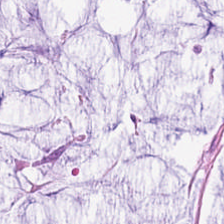0.5 microns per pixel; hematoxylin and eosin. This field is extracellular mucin.
